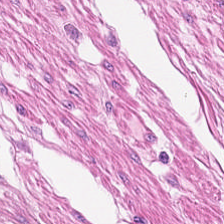224×224 px tile · H&E · FFPE. The predominant tissue is smooth muscle.
